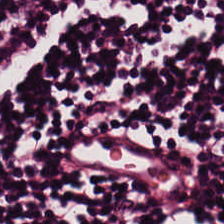H&E; FFPE.
This patch shows lymphocytes.
